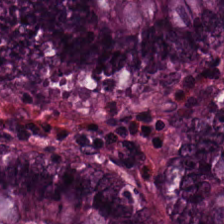Histology → normal colon mucosa.
